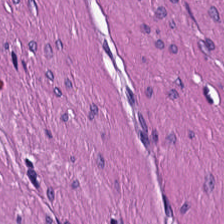0.5 µm per pixel; H&E; whole-slide-image patch.
Smooth muscle.
